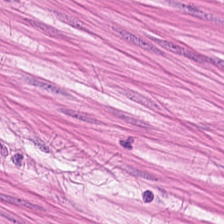Brightfield. H&E stain. FFPE — Predominantly smooth muscle.
